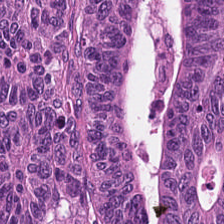0.5 µm/px. H&E. Whole-slide-image patch. The tissue is colorectal adenocarcinoma.
